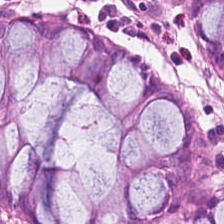224×224 px patch · hematoxylin and eosin. Predominantly normal colonic mucosa.
